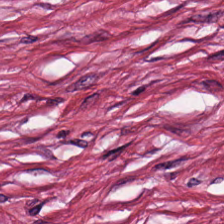Hematoxylin-and-eosin stained section.
Histology — tumor stroma.
